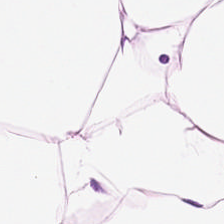Showing adipocytes.
